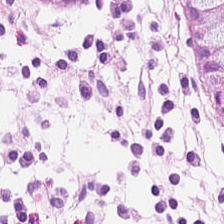H&E stain. FFPE. This field is normal colon mucosa.
